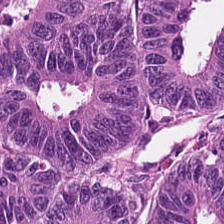Brightfield microscopy; H&E. Classification: malignant epithelium.
